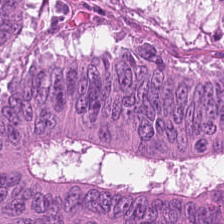Hematoxylin-and-eosin stained section; FFPE tissue section; 0.5 microns per pixel.
Tissue class — colorectal adenocarcinoma.
